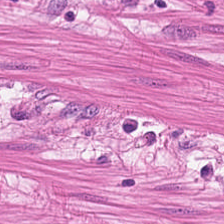Hematoxylin-and-eosin stained section · formalin-fixed paraffin-embedded section.
Q: Identify the tissue.
A: It is smooth-muscle tissue.
